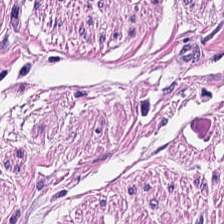Hematoxylin-and-eosin stained section; FFPE tissue section; WSI patch. Showing muscularis.
